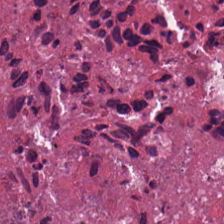Q: What is the predominant tissue type?
A: This is debris.
